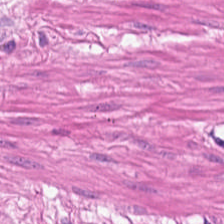H&E-stained tissue section — Histology → smooth muscle.
